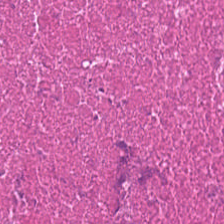Hematoxylin and eosin. The tissue type is necrotic debris.
